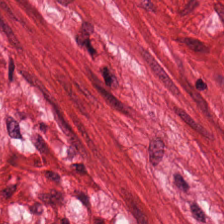Hematoxylin-and-eosin stained section; FFPE tissue section; 0.5 µm per pixel — Classification — smooth muscle.
